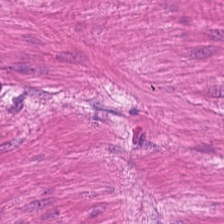Smooth-muscle tissue.
